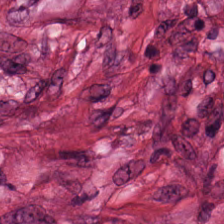Tissue type: cancer-associated stroma.
